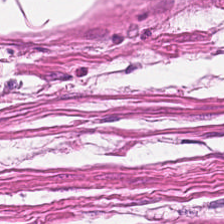Stain: hematoxylin-and-eosin stained section.
Predominant tissue: muscularis.
